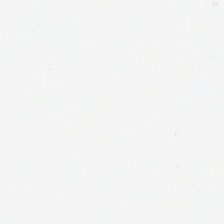H&E — Q: Classify this patch.
A: This is background (no tissue).
